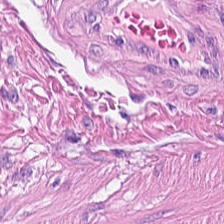Hematoxylin and eosin.
Q: Classify this patch.
A: It is smooth-muscle tissue.
